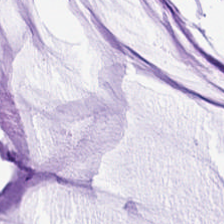Stain: hematoxylin and eosin.
Acquisition: brightfield.
Predominant tissue: mucus.
